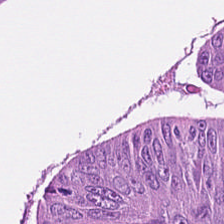Classification = malignant epithelium.
